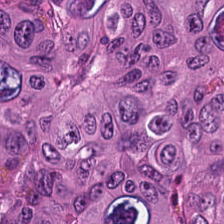Stain: hematoxylin and eosin.
Tissue class: colorectal adenocarcinoma.
